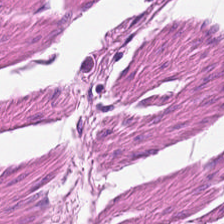WSI patch; H&E-stained tissue section; 224×224 px patch. This field is smooth-muscle tissue.
